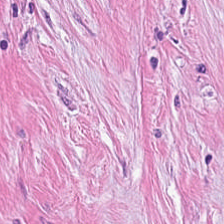224×224 px patch · H&E.
{"tissue_type": "desmoplastic stroma"}
